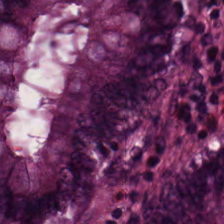Hematoxylin and eosin. This field is benign colonic mucosa.
